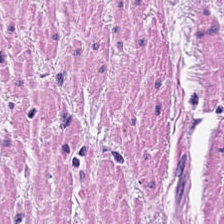WSI patch. Hematoxylin and eosin — The predominant tissue is muscularis.
